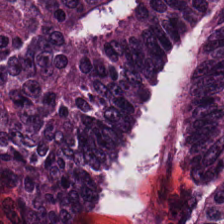Hematoxylin and eosin — {"tissue_type": "colorectal adenocarcinoma epithelium"}
